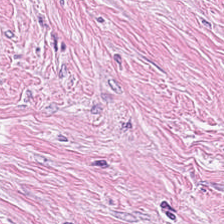Formalin-fixed paraffin-embedded section · H&E-stained tissue section. The tissue is desmoplastic stroma.
